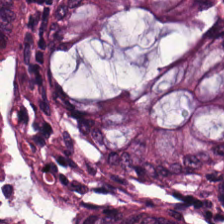H&E — Predominantly normal colon mucosa.
